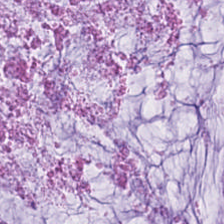Stain: H&E-stained tissue section.
Tissue class: mucus.
